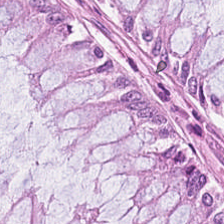Brightfield microscopy. Hematoxylin and eosin — Tissue class: benign colonic mucosa.
